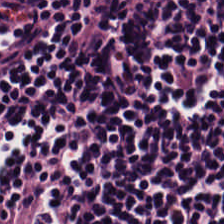This field is lymphocytes.
